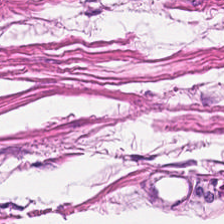H&E — Tissue = muscularis.
